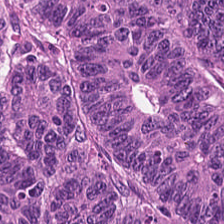H&E stain. The predominant tissue is colorectal adenocarcinoma.
